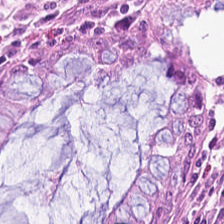H&E-stained tissue section · brightfield.
This patch shows normal colonic mucosa.
